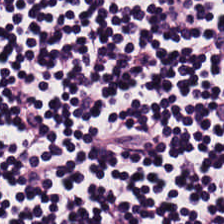Brightfield microscopy; hematoxylin and eosin; 224×224 px tile — Predominantly lymphocyte aggregate.
